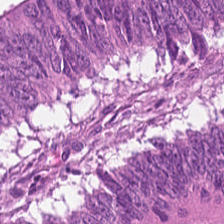Hematoxylin and eosin. 224×224 pixel tile.
Predominantly adenocarcinoma.
